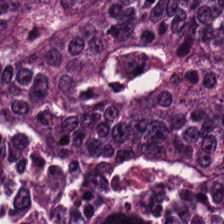0.5 µm per pixel. Hematoxylin and eosin — Tissue type: colorectal adenocarcinoma epithelium.
